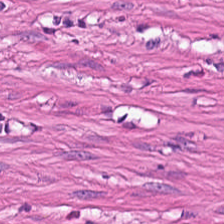Hematoxylin and eosin; 20× equivalent magnification.
{"tissue_type": "smooth muscle"}
